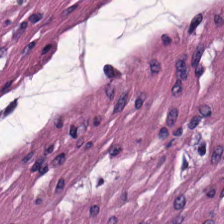Stain: H&E stain.
Acquisition: brightfield.
Resolution: 0.5 µm/px.
Tissue type: smooth-muscle tissue.
